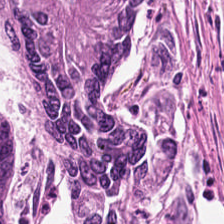This field is tumor epithelium.
